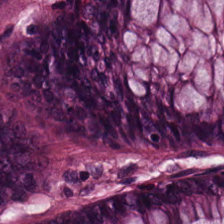224×224 px tile; H&E. Normal colon mucosa.
